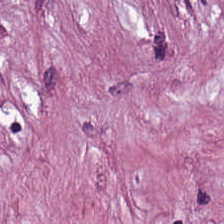Q: What is the predominant tissue type?
A: This is cancer-associated stroma.
